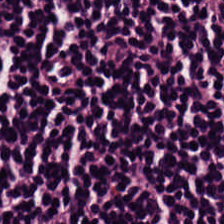Stain: hematoxylin and eosin.
Resolution: 20× equivalent magnification.
Classification: lymphocyte aggregate.
